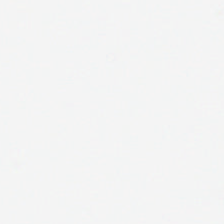0.5 µm/px. Hematoxylin and eosin.
Background — no tissue in this field.
